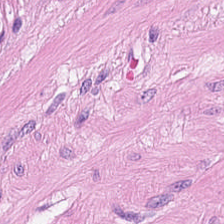0.5 µm per pixel; hematoxylin-and-eosin stained section — Classification = smooth muscle.
